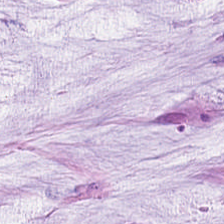H&E-stained tissue section. Predominantly extracellular mucin.
